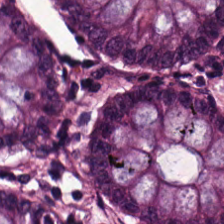H&E — Impression → normal colonic mucosa.
